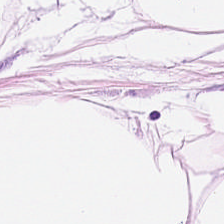H&E-stained section; the field shows adipocytes.
